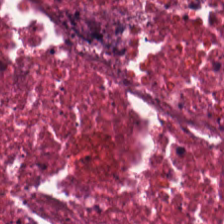Whole-slide-image patch · hematoxylin-and-eosin stained section. Necrotic debris.
